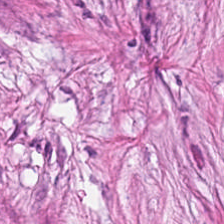H&E · 20× equivalent magnification · 224×224 px tile — Tissue = cancer-associated stroma.
